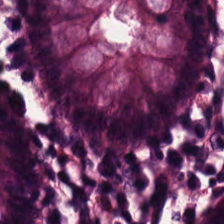Classification = normal colon mucosa.
